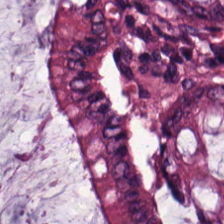Stain: H&E-stained tissue section.
Tissue class: benign colonic mucosa.
